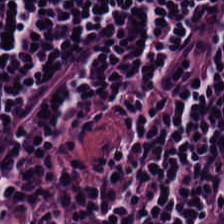H&E stain. 0.5 µm/px. Q: What tissue is shown?
A: The field shows lymphocytes.
